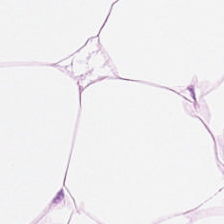H&E · WSI patch · 224×224 px patch — Q: What tissue is shown?
A: It is fat tissue.
